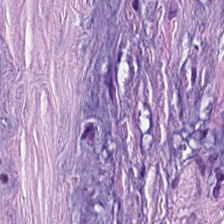Showing desmoplastic stroma.
